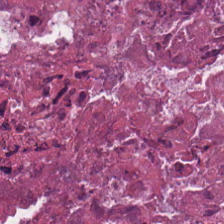The tissue is debris.
